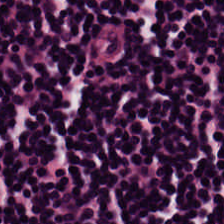Hematoxylin and eosin.
Q: What does this patch show?
A: It is lymphocytes.
